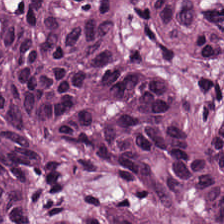Brightfield microscopy. Hematoxylin and eosin — Q: What is shown here?
A: The field shows adenocarcinoma.
